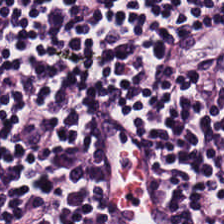Finding → lymphocyte aggregate.
